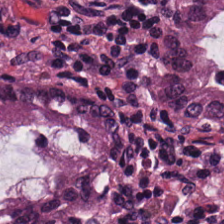H&E — This patch shows normal colonic mucosa.
